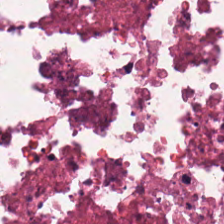0.5 µm per pixel · hematoxylin-and-eosin stained section. Histology — cellular debris.
